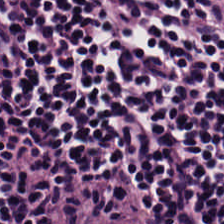{"tissue_type": "lymphocytic infiltrate"}
